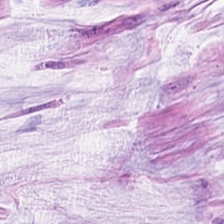Q: What tissue type is shown here?
A: The field shows extracellular mucin.
